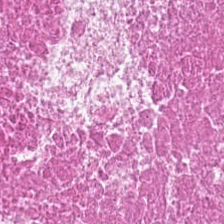H&E-stained tissue section — Q: What is shown here?
A: It is debris.
